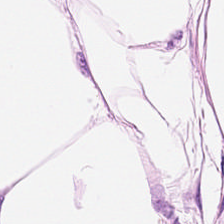Tissue type — adipocytes.
